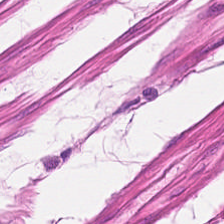Hematoxylin-and-eosin stained section.
Predominantly muscularis.
